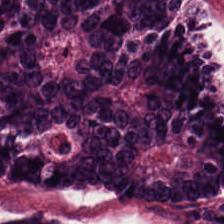H&E. 0.5 microns per pixel. Predominantly tumor epithelium.
